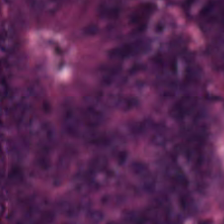Hematoxylin-and-eosin stained section. Q: What is shown here?
A: It is adenocarcinoma.
